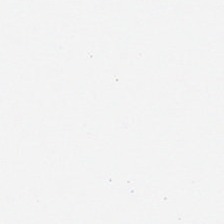Background — no tissue in this field.
